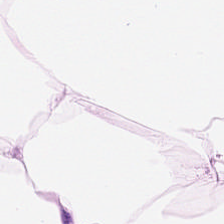Hematoxylin and eosin.
Fat tissue.
